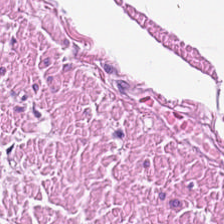Hematoxylin and eosin — This field is smooth muscle.
